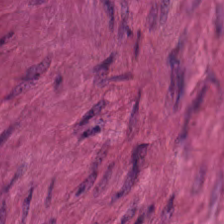Hematoxylin-and-eosin stained section — This field is smooth-muscle tissue.
